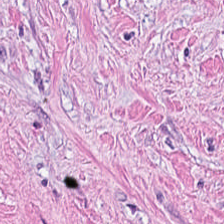H&E patch showing tumor stroma.
